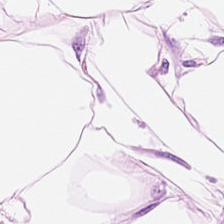Hematoxylin-and-eosin stained section — The tissue class is fat tissue.
